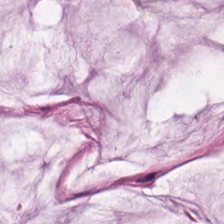H&E — Mucin.
